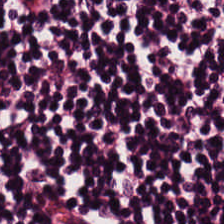Stain: hematoxylin-and-eosin stained section.
Tile size: 224×224 pixel tile.
Resolution: 20× equivalent magnification.
Tissue class: lymphocyte aggregate.
